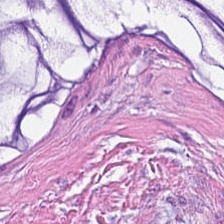This patch shows extracellular mucin.
